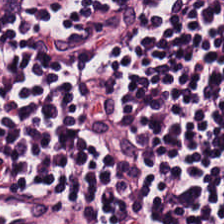H&E; FFPE. The tissue here is lymphocyte aggregate.
